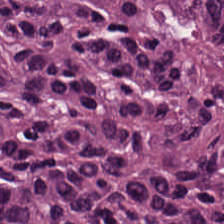Stain: hematoxylin and eosin.
Preparation: FFPE.
Tissue: colorectal adenocarcinoma.
